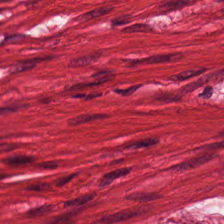H&E-stained tissue section — The predominant tissue is smooth muscle.
